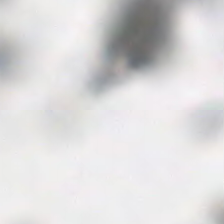Q: What is shown in this field?
A: The field shows empty background.
